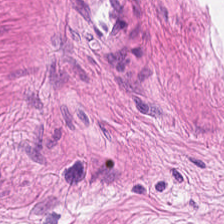H&E. Q: What does this patch show?
A: It is muscularis.
